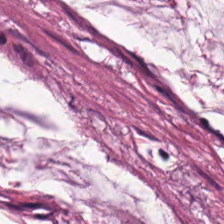Brightfield microscopy. H&E-stained tissue section.
The predominant tissue is extracellular mucin.
